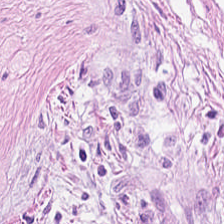20× equivalent magnification · H&E-stained tissue section · formalin-fixed paraffin-embedded section — Tissue: cancer-associated stroma.
